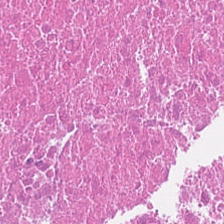0.5 microns per pixel; hematoxylin-and-eosin stained section; 224×224 px tile. Q: Classify this patch.
A: Cellular debris.
